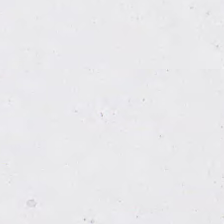Finding → empty background.
